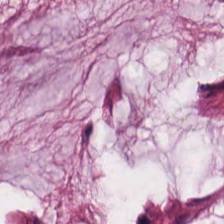Hematoxylin and eosin. The classification is extracellular mucin.
